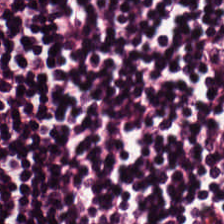224×224 px patch · 20× equivalent magnification · H&E-stained tissue section.
The predominant tissue is lymphoid infiltrate.
